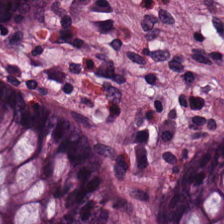WSI patch · 224×224 pixel tile · H&E-stained tissue section.
Q: What tissue is shown?
A: This is benign colonic mucosa.
